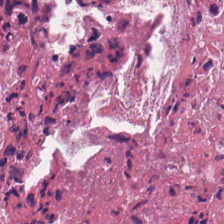H&E stain; 224×224 pixel tile; 0.5 µm per pixel — Q: Identify the tissue.
A: This is debris.
